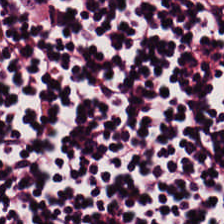Q: What is the predominant tissue type?
A: This is lymphocytic infiltrate.
